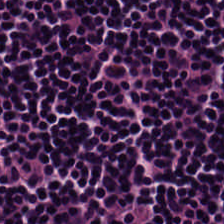Hematoxylin and eosin.
Impression — lymphoid infiltrate.
